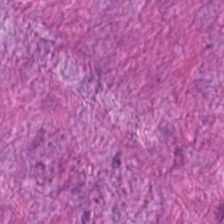Impression — cancer-associated stroma.
